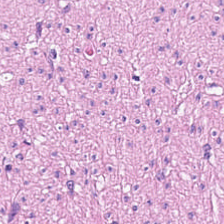Q: What type of tissue is this?
A: It is smooth muscle.
